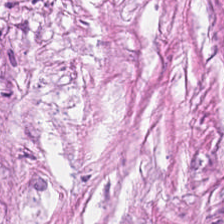Predominant tissue — desmoplastic stroma.
